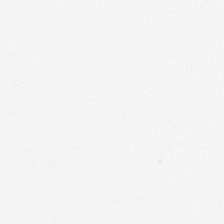H&E-stained tissue section · FFPE. The classification is no tissue.
